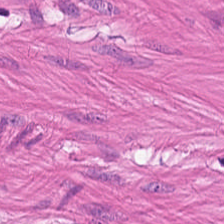Hematoxylin and eosin.
The tissue is muscularis.
